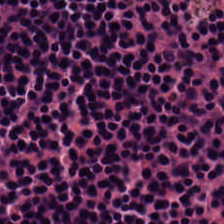H&E. Tissue type — lymphocytes.
